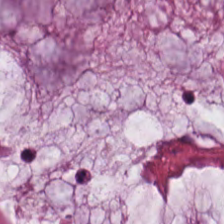H&E stain — The predominant tissue is mucus.
